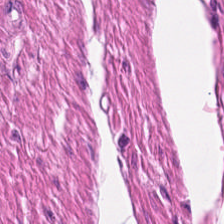Formalin-fixed paraffin-embedded section · H&E-stained tissue section — Predominant tissue — muscularis.
